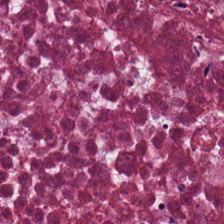Hematoxylin and eosin — {"tissue_type": "necrotic debris"}
